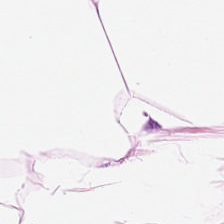H&E stain — Predominantly adipose.
